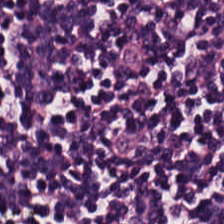Tissue type = lymphocytes.
